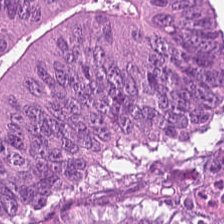Hematoxylin and eosin. Predominantly colorectal adenocarcinoma.
